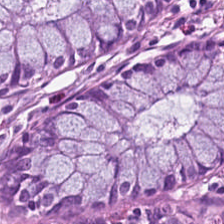H&E · 224×224 pixel tile.
This field is non-neoplastic colon mucosa.
